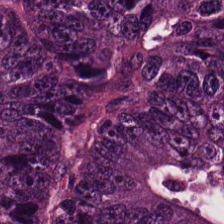Tissue: colorectal adenocarcinoma.
